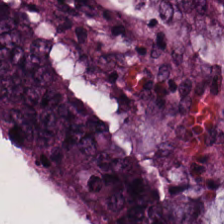H&E-stained tissue section. FFPE tissue section. Histology → malignant epithelium.
